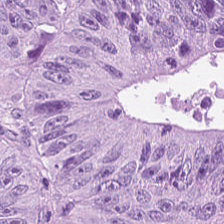Hematoxylin-and-eosin stained section. Predominantly colorectal adenocarcinoma.
